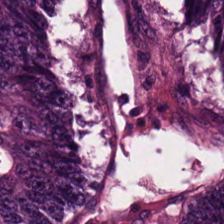0.5 microns per pixel. H&E stain. The predominant tissue is colorectal adenocarcinoma.
